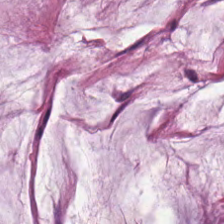Hematoxylin and eosin · formalin-fixed paraffin-embedded section · brightfield microscopy.
Q: What is shown in this field?
A: This is extracellular mucin.
